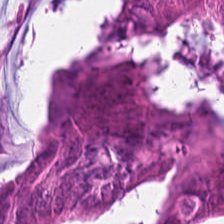Formalin-fixed paraffin-embedded section · H&E stain · 224×224 px tile — This field is tumor epithelium.
